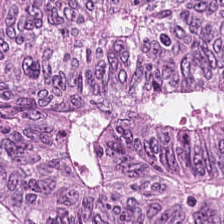H&E-stained tissue section.
Tissue: colorectal adenocarcinoma.
